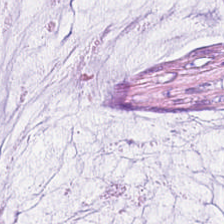Stain: hematoxylin and eosin.
Tissue type: mucin.
